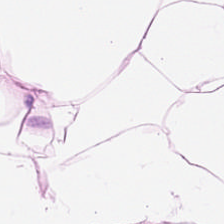H&E stain · 224×224 px tile · FFPE tissue section.
Q: What is shown here?
A: It is fat tissue.
